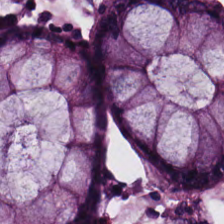H&E-stained tissue section. FFPE tissue section — {"tissue_type": "normal colon mucosa"}
